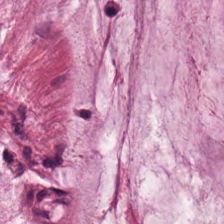Hematoxylin-and-eosin section: mucin.
